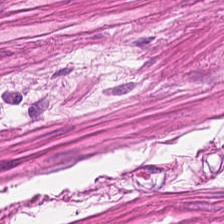H&E · brightfield microscopy.
Q: What does this patch show?
A: It is smooth muscle.
